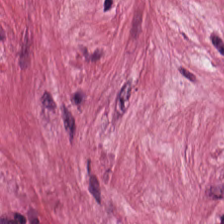224×224 pixel tile; H&E.
Q: Classify this patch.
A: The field shows cancer-associated stroma.
